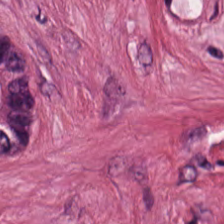Stain: hematoxylin-and-eosin stained section.
Classification: tumor-associated stroma.
